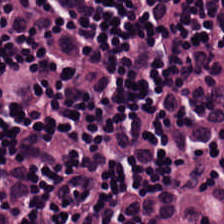Predominantly lymphocytes.
